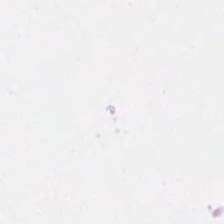Hematoxylin-and-eosin stained section.
No tissue.
